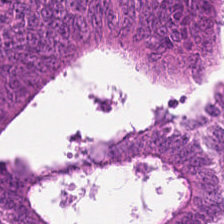WSI patch. Hematoxylin-and-eosin stained section. 224×224 px tile. Tissue — tumor epithelium.
